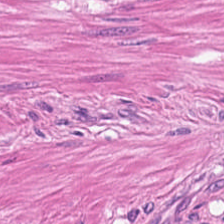Hematoxylin-and-eosin stained section.
Classification — smooth-muscle tissue.
